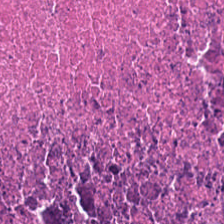WSI patch. H&E stain. Q: What does this patch show?
A: This is debris.
